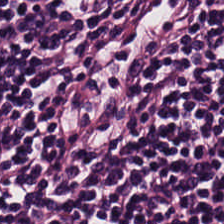Histology → lymphocyte aggregate.
